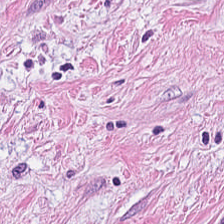WSI patch; hematoxylin and eosin — The tissue here is tumor-associated stroma.
